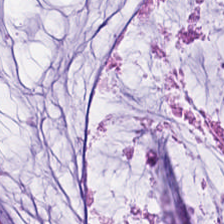H&E. The predominant tissue is extracellular mucin.
